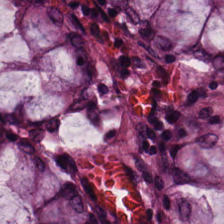FFPE. 224×224 pixel tile. Hematoxylin-and-eosin stained section — The tissue here is normal colonic mucosa.
